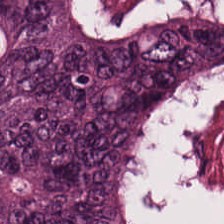Hematoxylin and eosin. Q: What tissue type is shown here?
A: Colorectal adenocarcinoma epithelium.
